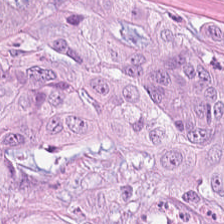Hematoxylin and eosin; 0.5 microns per pixel. Tissue class = colorectal adenocarcinoma.
